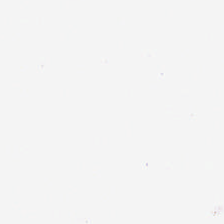H&E stain; 0.5 µm/px; WSI patch. This patch shows background.
